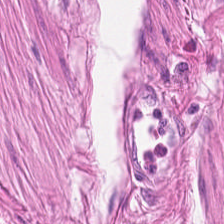Stain: H&E stain.
Classification: muscularis.
